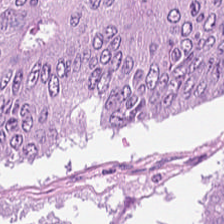H&E stain — The predominant tissue is adenocarcinoma.
